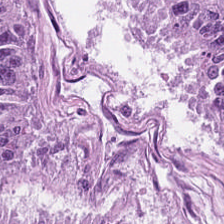0.5 µm/px. H&E stain. Classification = adenocarcinoma.
